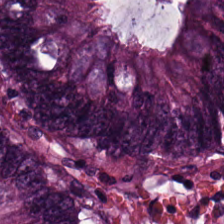H&E-stained tissue section. Predominantly colorectal adenocarcinoma.
